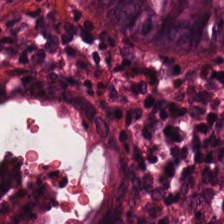H&E. This patch shows normal colon mucosa.
